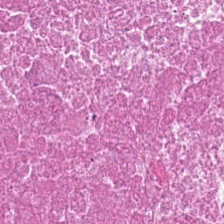Impression → debris.
